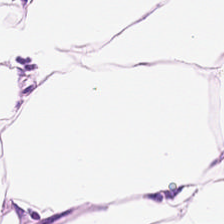Brightfield; H&E stain; FFPE tissue section.
Histology → adipose.
